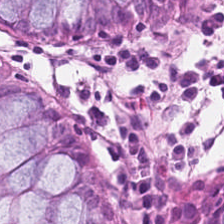224×224 px patch · brightfield microscopy · hematoxylin-and-eosin stained section.
The predominant tissue is normal colonic mucosa.
